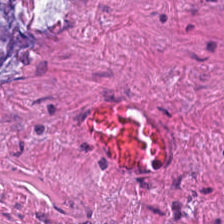224×224 pixel tile. Hematoxylin-and-eosin stained section.
This field is extracellular mucin.
